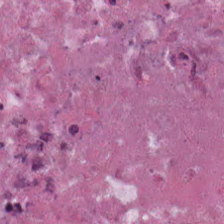H&E stain. Tissue type: debris.
